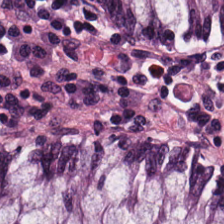FFPE. 0.5 microns per pixel. Hematoxylin-and-eosin stained section. Non-neoplastic colon mucosa.
